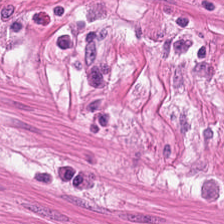The tissue here is muscularis.
